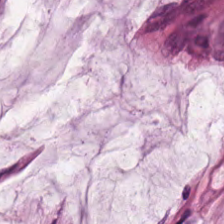FFPE; 0.5 µm per pixel; H&E — This patch shows extracellular mucin.
